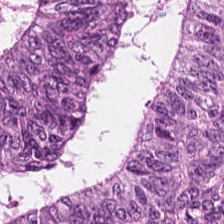Hematoxylin-and-eosin stained section. Classification = colorectal adenocarcinoma.
